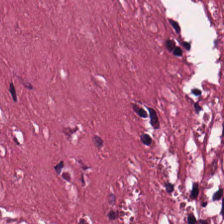Hematoxylin and eosin. 0.5 microns per pixel. This patch shows cancer-associated stroma.
